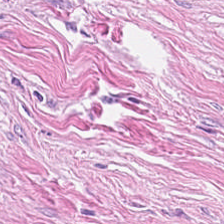H&E stain — Q: What does this patch show?
A: The field shows tumor-associated stroma.
